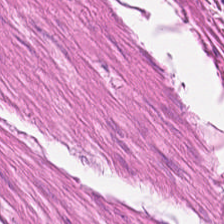Histology — muscularis.
